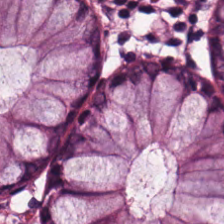Histology → benign colonic mucosa.
